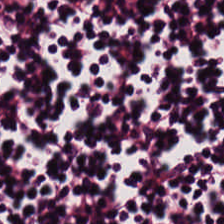Stain: H&E-stained tissue section.
Acquisition: brightfield.
Preparation: formalin-fixed paraffin-embedded section.
Predominant tissue: lymphocytic infiltrate.
